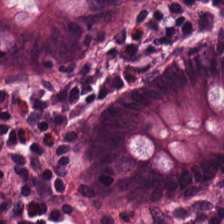H&E stain — {"tissue_type": "normal colonic mucosa"}
